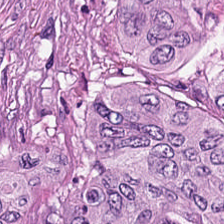Hematoxylin-and-eosin stained section — Q: What type of tissue is this?
A: This is tumor epithelium.
